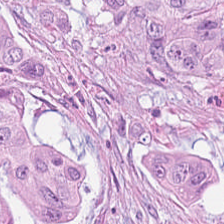H&E.
The tissue here is colorectal adenocarcinoma epithelium.
